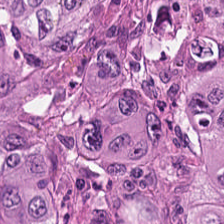Brightfield; hematoxylin-and-eosin stained section.
Classification = tumor epithelium.
